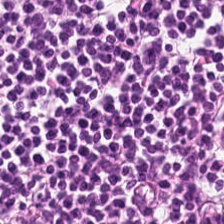Brightfield microscopy; 0.5 µm/px; hematoxylin and eosin — {"tissue_type": "lymphocytes"}
